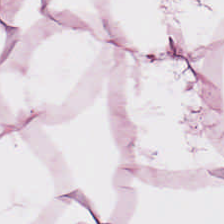H&E-stained tissue section.
{"tissue_type": "adipose tissue"}
